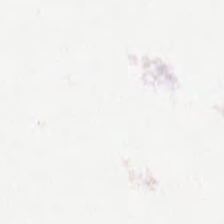Stain: hematoxylin and eosin.
Content: empty background.
